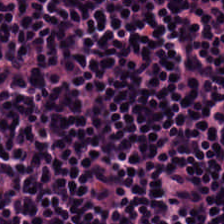Hematoxylin-and-eosin stained section.
Q: What tissue type is shown here?
A: The field shows lymphoid infiltrate.
